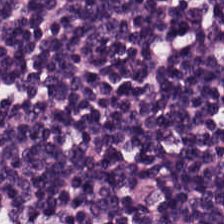Hematoxylin-and-eosin stained section.
Showing lymphocyte aggregate.
